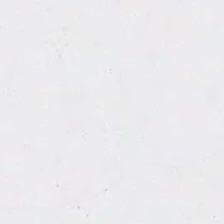This patch shows empty background.
